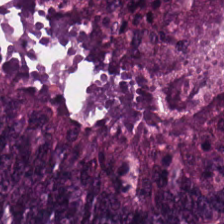Hematoxylin and eosin; FFPE tissue section — Histology → malignant epithelium.
